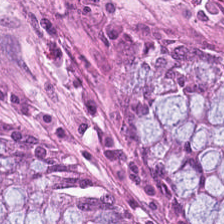Brightfield microscopy; FFPE tissue section; H&E — Benign colonic mucosa.
